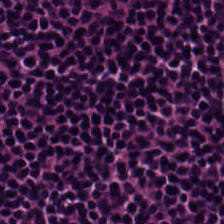H&E-stained tissue section.
Lymphoid infiltrate.
